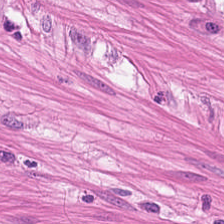{"tissue_type": "muscularis"}
